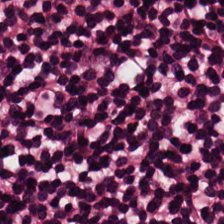H&E stain.
The predominant tissue is lymphoid infiltrate.
